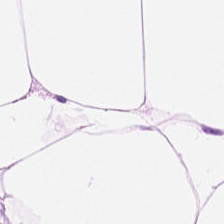Tissue: fat tissue.
